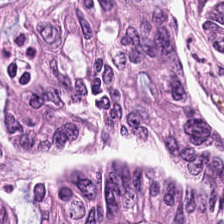H&E stain. Predominant tissue: tumor epithelium.
